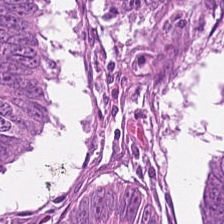H&E stain.
Finding → colorectal adenocarcinoma epithelium.
